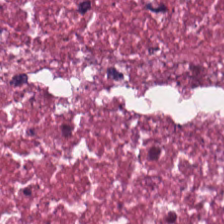Formalin-fixed paraffin-embedded section · brightfield · H&E-stained tissue section.
Predominant tissue = cellular debris.
